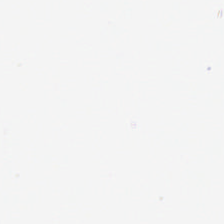Hematoxylin-and-eosin stained section. FFPE. Empty background.
